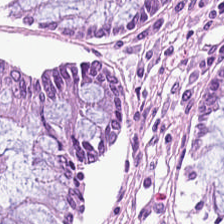H&E. 0.5 µm/px. Brightfield microscopy — Tissue class: normal colonic mucosa.
